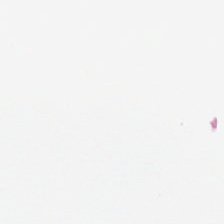Brightfield · H&E-stained tissue section · 224×224 px patch.
{"content": "background"}
